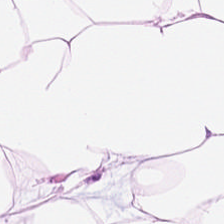H&E stain. Tissue type: adipose.
